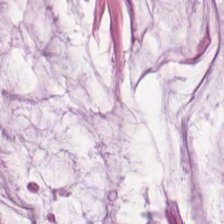Brightfield microscopy; 0.5 microns per pixel; H&E.
Q: What is shown in this field?
A: This is extracellular mucin.
